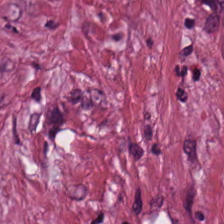H&E stain. This patch shows tumor stroma.
